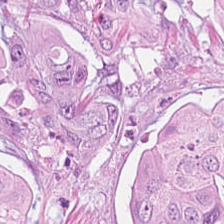Q: Identify the tissue.
A: Colorectal adenocarcinoma epithelium.
